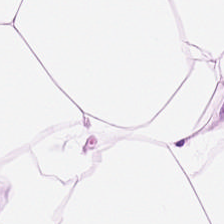H&E-stained section; the field shows adipocytes.
